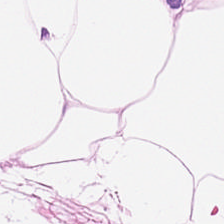H&E-stained tissue section · brightfield microscopy.
Tissue = adipose.
